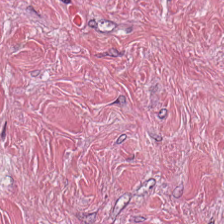Stain: H&E-stained tissue section.
Classification: tumor-associated stroma.
